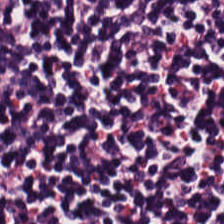H&E stain. Q: Identify the tissue.
A: Lymphoid infiltrate.
